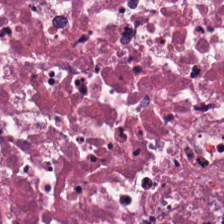H&E-stained tissue section; 224×224 px tile.
This field is debris.
